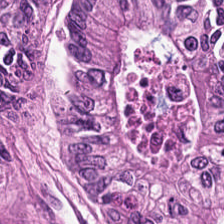H&E — colorectal adenocarcinoma.
